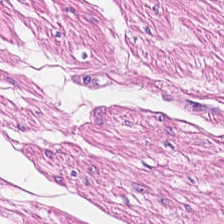H&E-stained tissue section · brightfield microscopy · 0.5 µm/px. Q: What tissue type is shown here?
A: The field shows smooth muscle.
